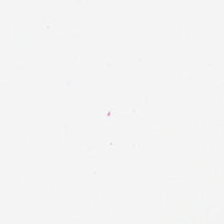H&E stain. FFPE tissue section — The field content is empty background.
